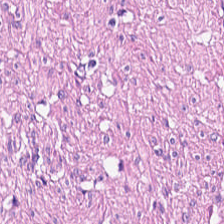H&E stain. Tissue type — smooth muscle.
